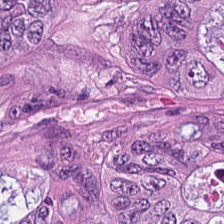FFPE tissue section; H&E-stained tissue section — {"tissue_type": "malignant epithelium"}
